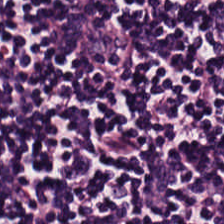Q: What is shown in this field?
A: Lymphocyte aggregate.
